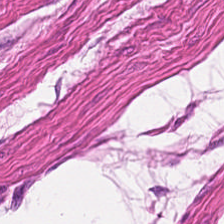Q: What is the predominant tissue type?
A: The field shows smooth muscle.
